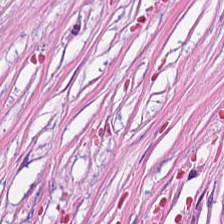H&E — Impression — cancer-associated stroma.
